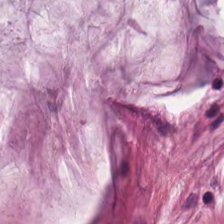Hematoxylin-and-eosin stained section. Impression → extracellular mucin.
